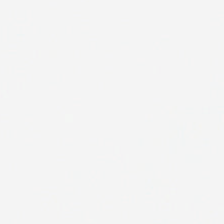Stain: hematoxylin-and-eosin stained section.
Acquisition: brightfield microscopy.
Preparation: FFPE.
Content: empty background.
